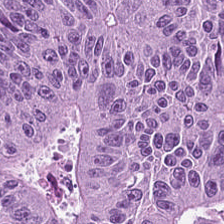H&E stain; brightfield microscopy — The predominant tissue is colorectal adenocarcinoma.
